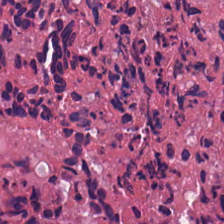Whole-slide-image patch. H&E-stained tissue section. Tissue type = debris.
